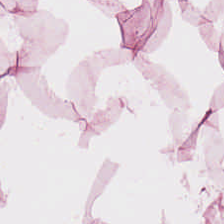Hematoxylin-and-eosin section: adipose tissue.
